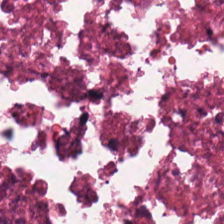H&E-stained section; the field shows necrotic debris.
